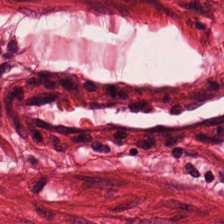This patch shows smooth-muscle tissue.
